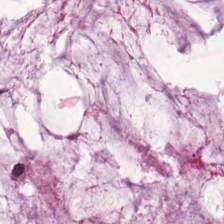H&E — The classification is mucin.
